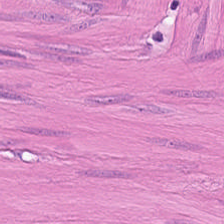Hematoxylin-and-eosin stained section.
Classification = smooth muscle.
